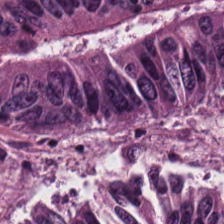H&E — colorectal adenocarcinoma.
